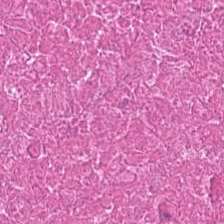Impression — debris.
